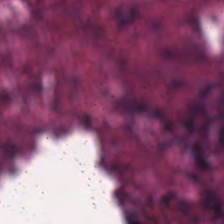Stain: H&E-stained tissue section.
Tissue type: necrotic debris.
